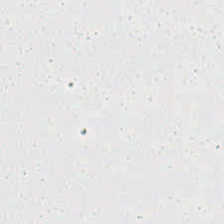H&E stain — This patch shows no tissue.
